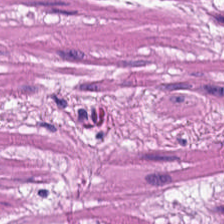Hematoxylin-and-eosin stained section.
{"tissue_type": "muscularis"}
